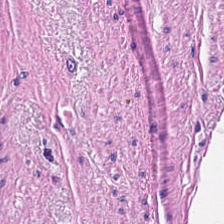Hematoxylin and eosin — Smooth muscle.
